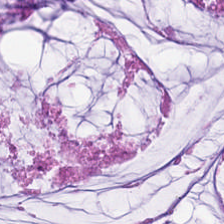Impression — extracellular mucin.
